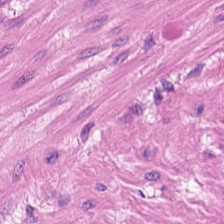H&E-stained tissue section. Formalin-fixed paraffin-embedded section. The tissue here is muscularis.
